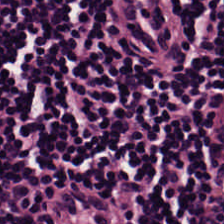H&E-stained tissue section.
Tissue type — lymphocytic infiltrate.
